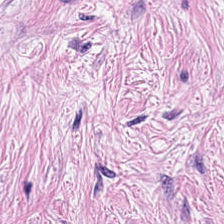H&E. Brightfield microscopy. 224×224 px patch. {"tissue_type": "tumor stroma"}
